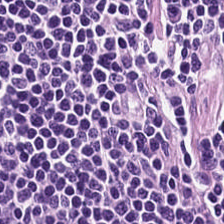Hematoxylin-and-eosin stained section — Classification: lymphocytes.
